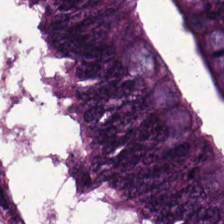H&E-stained tissue section; whole-slide-image patch.
Tissue type — tumor epithelium.
